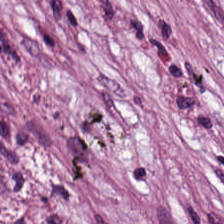Stain: hematoxylin and eosin.
Tile size: 224×224 px tile.
Resolution: 0.5 microns per pixel.
Tissue class: tumor stroma.
